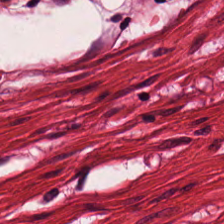Showing smooth-muscle tissue.
